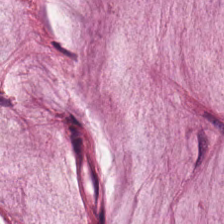Hematoxylin and eosin. Predominantly mucin.
